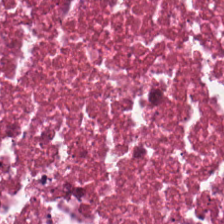Finding → cellular debris.
